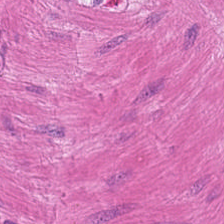Hematoxylin and eosin.
The tissue here is muscularis.
